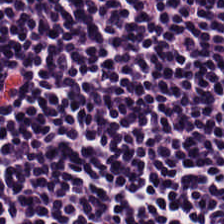H&E stain; brightfield; 224×224 pixel tile. The tissue is lymphocytic infiltrate.
